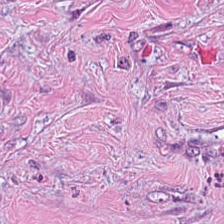{"tissue_type": "tumor-associated stroma"}
